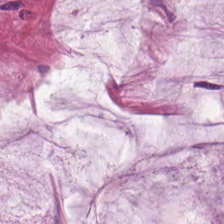0.5 µm/px. Hematoxylin-and-eosin stained section.
The tissue here is mucin.
